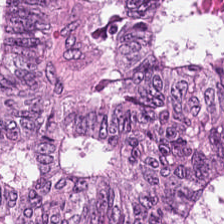Hematoxylin and eosin.
The tissue here is colorectal adenocarcinoma epithelium.
